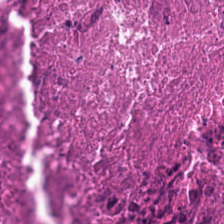H&E-stained tissue section; 224×224 pixel tile.
Tissue type — cellular debris.
